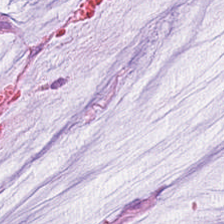0.5 microns per pixel; H&E-stained tissue section — Q: Identify the tissue.
A: This is mucin.
